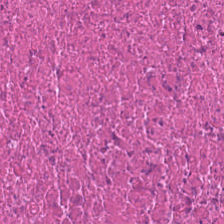H&E stain.
Classification — debris.
